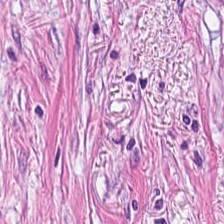Hematoxylin-and-eosin stained section. Tumor-associated stroma.
